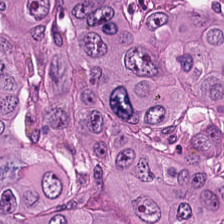224×224 px patch. H&E-stained tissue section. Q: Identify the tissue.
A: It is colorectal adenocarcinoma epithelium.
